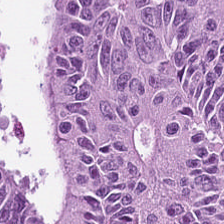224×224 pixel tile · H&E-stained tissue section — This patch shows adenocarcinoma.
